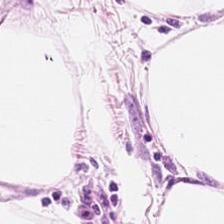224×224 pixel tile. H&E-stained tissue section.
Predominantly adipose tissue.
